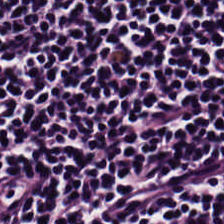Hematoxylin and eosin. Histology — lymphocytes.
